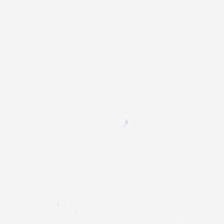Field content — background.
